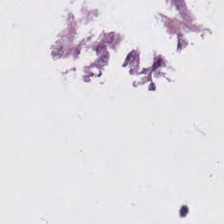FFPE tissue section; H&E; 20× equivalent magnification.
Classification = empty background.
